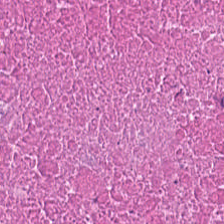Showing cellular debris.
